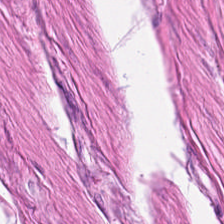H&E; 20× equivalent magnification — The predominant tissue is muscularis.
